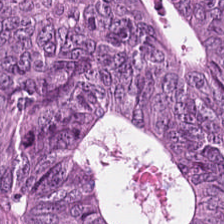Hematoxylin-and-eosin stained section — Predominantly malignant epithelium.
